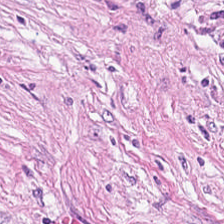Brightfield. FFPE. Hematoxylin-and-eosin stained section. Q: What tissue is shown?
A: Desmoplastic stroma.
